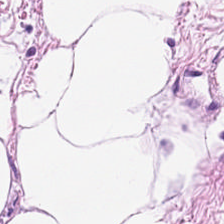H&E stain; 224×224 px tile.
Impression — fat tissue.
